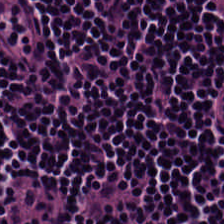H&E-stained tissue section — Finding — lymphocytic infiltrate.
